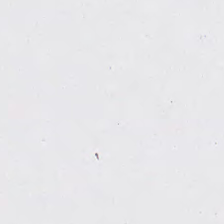0.5 µm/px · hematoxylin and eosin — This patch shows background (no tissue).
